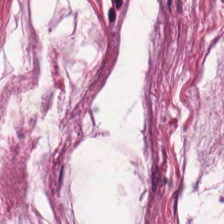H&E — Histology — mucin.
